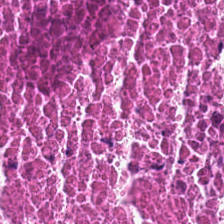Brightfield · H&E stain. Necrotic debris.
